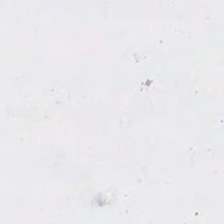224×224 px patch; hematoxylin and eosin — Empty background.
